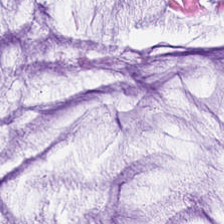Stain: hematoxylin and eosin.
Tile size: 224×224 px tile.
Predominant tissue: mucus.
